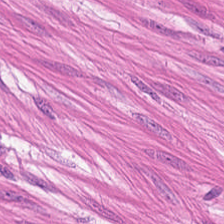Hematoxylin and eosin · whole-slide-image patch.
The classification is smooth-muscle tissue.
